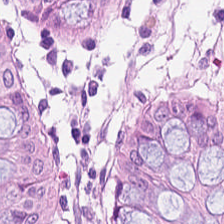20× equivalent magnification; brightfield; H&E-stained tissue section.
The tissue here is benign colonic mucosa.
